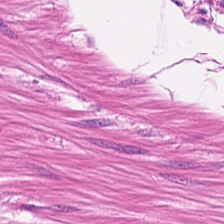224×224 px patch. H&E stain — Tissue type: smooth muscle.
